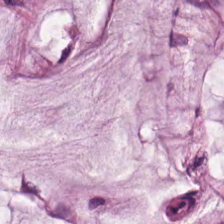Q: What is the predominant tissue type?
A: Mucin.
